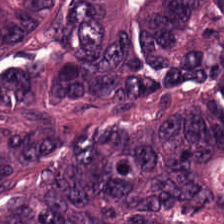H&E-stained tissue section.
This field is malignant epithelium.
